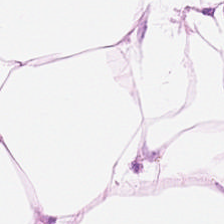Brightfield. Hematoxylin and eosin. 224×224 px patch. Tissue = adipose.
